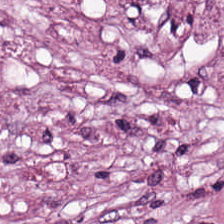Tissue type: tumor-associated stroma.
